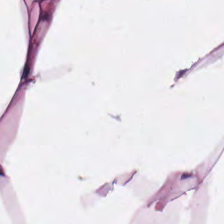FFPE tissue section; H&E. Showing adipose tissue.
